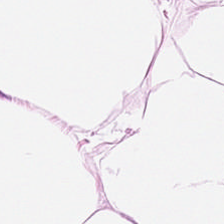Hematoxylin and eosin · 0.5 microns per pixel. Histology → adipocytes.
